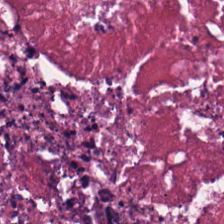Stain: hematoxylin-and-eosin stained section.
Acquisition: WSI patch.
Tile size: 224×224 px patch.
Tissue type: necrotic debris.
